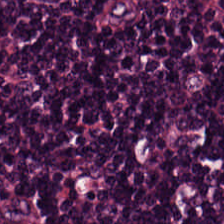Predominant tissue = lymphocyte aggregate.
